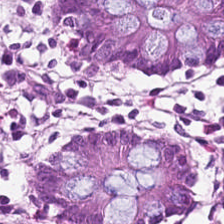H&E. 0.5 µm per pixel — Q: What is shown here?
A: The field shows benign colonic mucosa.
